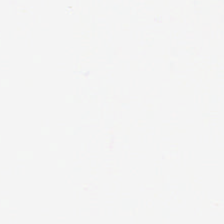0.5 µm per pixel · H&E-stained tissue section.
The classification is background.
